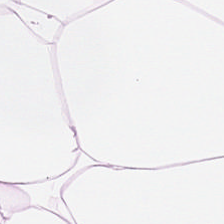H&E-stained tissue section — This patch shows fat tissue.
